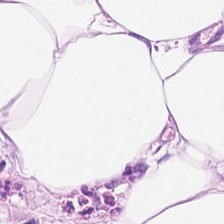Hematoxylin and eosin · 0.5 microns per pixel · 224×224 pixel tile.
Adipocytes.
